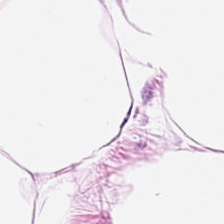FFPE tissue section · hematoxylin-and-eosin stained section.
Classification = fat tissue.
